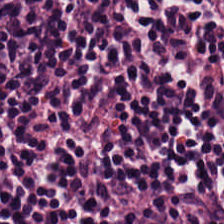This patch shows lymphocyte aggregate.
